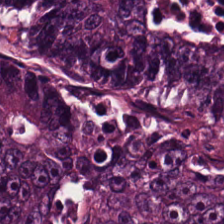H&E-stained tissue section. 20× equivalent magnification — Q: What is shown in this field?
A: The field shows colorectal adenocarcinoma.
